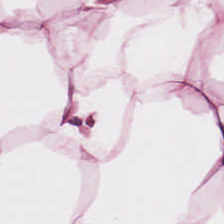Stain: H&E.
Classification: adipose tissue.
